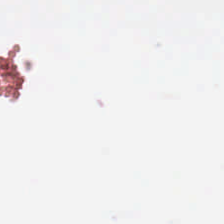20× equivalent magnification; H&E; brightfield microscopy. Q: What does this patch show?
A: The field shows background (no tissue).
